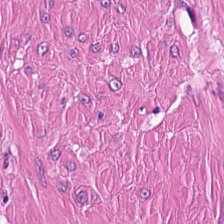Hematoxylin and eosin. Histology — smooth muscle.
